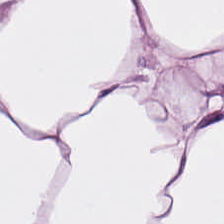Formalin-fixed paraffin-embedded section · 224×224 px tile · H&E-stained tissue section. Predominantly adipose tissue.
